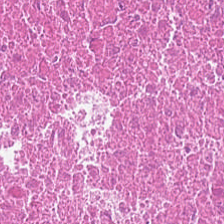H&E-stained tissue section.
The predominant tissue is debris.
